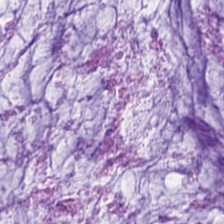0.5 microns per pixel · 224×224 px patch · hematoxylin and eosin.
This patch shows extracellular mucin.
